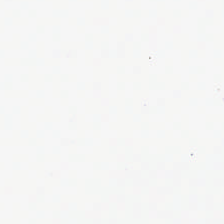20× equivalent magnification; FFPE; H&E.
This patch shows empty background.
